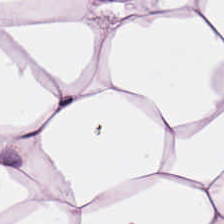Hematoxylin and eosin. Impression → adipocytes.
